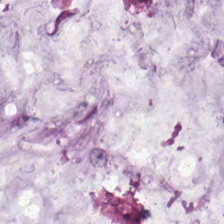H&E stain · formalin-fixed paraffin-embedded section — Impression → mucus.
